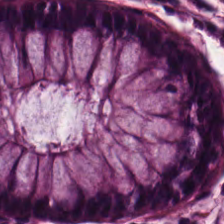Hematoxylin-and-eosin stained section.
This patch shows non-neoplastic colon mucosa.
